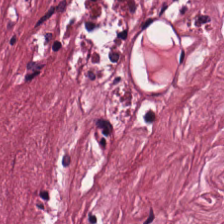Hematoxylin-and-eosin stained section.
Showing tumor-associated stroma.
